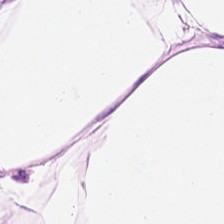0.5 µm per pixel; hematoxylin-and-eosin stained section — Histology — adipose.
